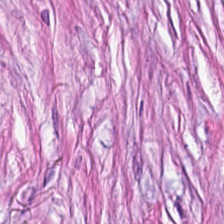Stain: hematoxylin-and-eosin stained section.
Tissue type: tumor stroma.
